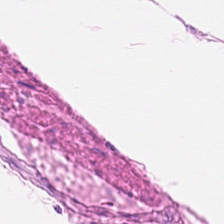H&E stain — The tissue type is muscularis.
